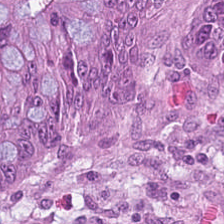Stain: H&E-stained tissue section.
Tile size: 224×224 px tile.
Preparation: FFPE tissue section.
Tissue type: malignant epithelium.
